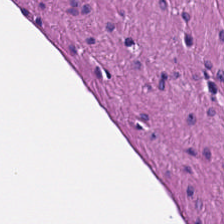H&E-stained tissue section; formalin-fixed paraffin-embedded section — Histology → smooth muscle.
